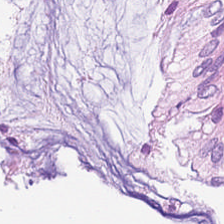Hematoxylin-and-eosin stained section · whole-slide-image patch · 224×224 px patch. Benign colonic mucosa.
